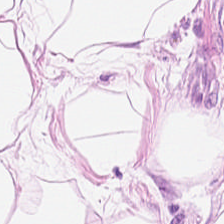Whole-slide-image patch · hematoxylin and eosin. Finding — adipose tissue.
